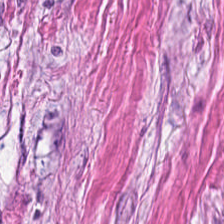Brightfield; H&E-stained tissue section. Q: What tissue is shown?
A: It is tumor-associated stroma.
